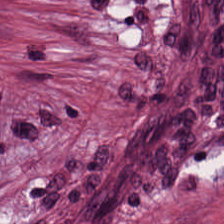H&E-stained tissue section.
Showing tumor stroma.
